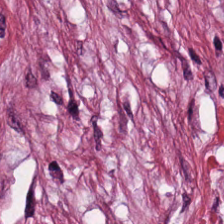Predominantly cancer-associated stroma.
